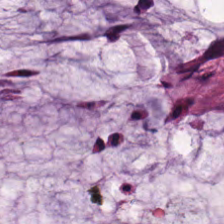H&E.
Predominant tissue = mucus.
